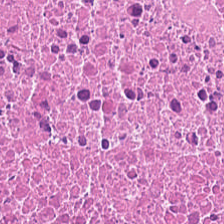FFPE. Whole-slide-image patch. H&E. The tissue here is cellular debris.
